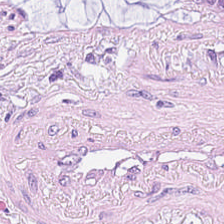Brightfield · 224×224 pixel tile · hematoxylin-and-eosin stained section — Q: What type of tissue is this?
A: Extracellular mucin.
